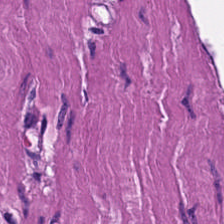H&E stain; formalin-fixed paraffin-embedded section — Tissue: muscularis.
